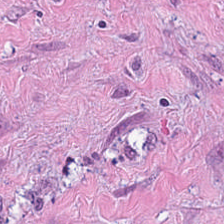H&E stain — Impression → cancer-associated stroma.
